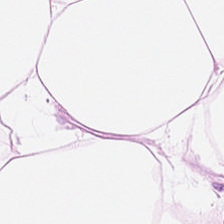0.5 µm/px. H&E. 224×224 px patch — Fat tissue.
